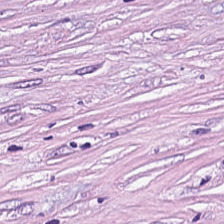Showing tumor-associated stroma.
